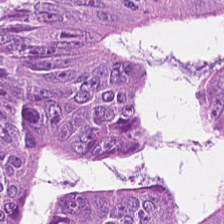H&E-stained tissue section. 0.5 µm/px. 224×224 px tile.
Classification: colorectal adenocarcinoma epithelium.
